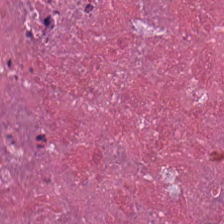Hematoxylin and eosin; 224×224 px tile — Finding — necrotic debris.
